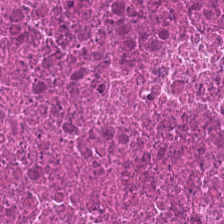Stain: hematoxylin and eosin.
Resolution: 0.5 µm/px.
Preparation: FFPE tissue section.
Tissue type: cellular debris.
